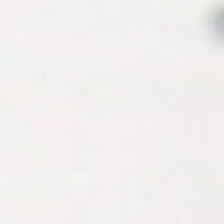This field is background (no tissue).
